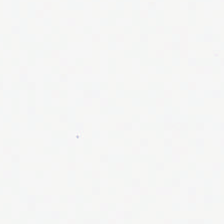This field is background (no tissue).
